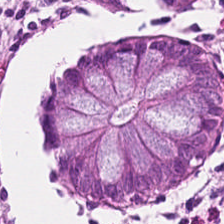20× equivalent magnification · hematoxylin-and-eosin stained section · WSI patch.
This field is normal colon mucosa.
